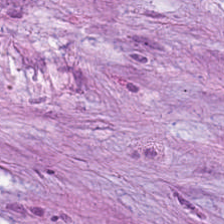Stain: H&E.
Tissue class: cancer-associated stroma.
